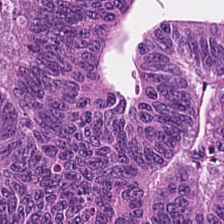Stain: H&E-stained tissue section.
Acquisition: brightfield.
Resolution: 20× equivalent magnification.
Tissue type: malignant epithelium.
